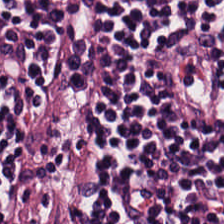Hematoxylin-and-eosin stained section.
Tissue class = lymphoid infiltrate.
